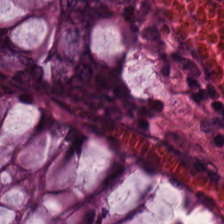224×224 pixel tile · H&E · 0.5 µm per pixel — This patch shows non-neoplastic colon mucosa.
